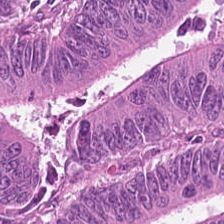Histology — tumor epithelium.
